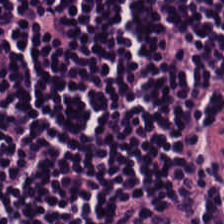H&E stain. Tissue type: lymphocytic infiltrate.
